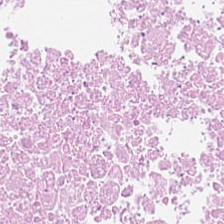Hematoxylin and eosin.
The predominant tissue is necrotic debris.
